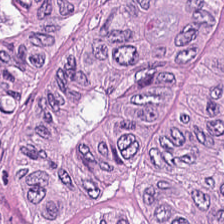H&E-stained tissue section · brightfield microscopy · formalin-fixed paraffin-embedded section. Q: What type of tissue is this?
A: This is adenocarcinoma.
